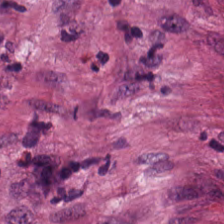Hematoxylin and eosin.
The classification is cancer-associated stroma.
